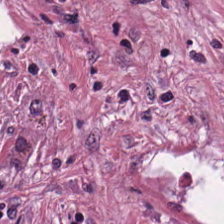Classification — tumor stroma.
